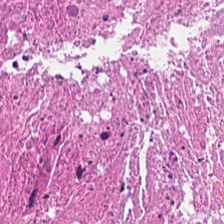H&E. Showing cellular debris.
